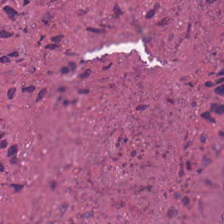Predominant tissue: debris.
